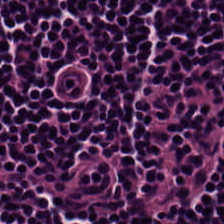H&E · FFPE tissue section. Predominant tissue: lymphoid infiltrate.
